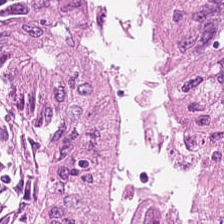The classification is adenocarcinoma.
